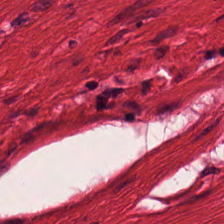H&E stain; 224×224 px tile.
Q: What type of tissue is this?
A: Muscularis.
